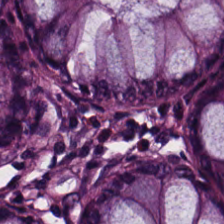Hematoxylin-and-eosin section: normal colonic mucosa.
